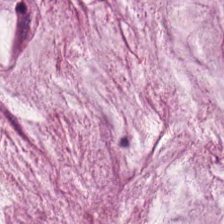0.5 µm per pixel; H&E-stained tissue section — Impression — mucus.
